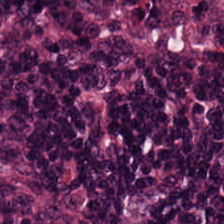H&E-stained tissue section.
This field is lymphocytic infiltrate.
